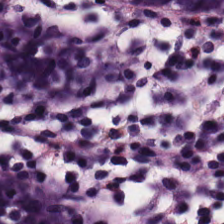Formalin-fixed paraffin-embedded section · H&E. Q: What tissue type is shown here?
A: This is non-neoplastic colon mucosa.
